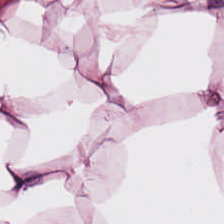FFPE. H&E-stained tissue section.
{"tissue_type": "adipocytes"}
